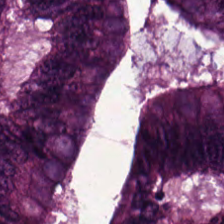Stain: hematoxylin and eosin.
Acquisition: brightfield.
Tissue type: tumor epithelium.
